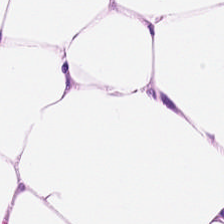0.5 microns per pixel; whole-slide-image patch; H&E — The predominant tissue is adipocytes.
